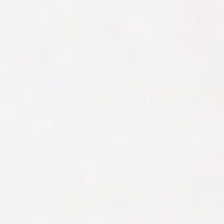Hematoxylin and eosin; 0.5 µm/px.
Q: What is shown in this field?
A: It is background.
